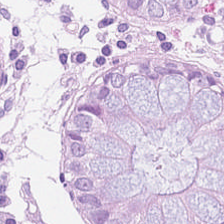Stain: hematoxylin-and-eosin stained section.
Tissue: normal colonic mucosa.
